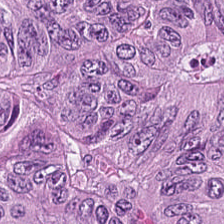H&E; 224×224 px tile. Q: What is the predominant tissue type?
A: Adenocarcinoma.
